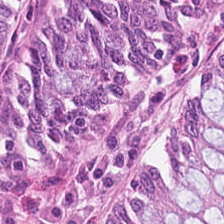FFPE · H&E.
The classification is normal colonic mucosa.
